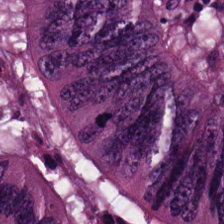Hematoxylin-and-eosin stained section. The predominant tissue is colorectal adenocarcinoma epithelium.
